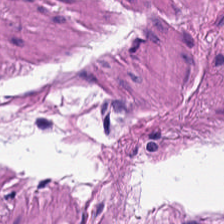Hematoxylin and eosin.
Muscularis.
